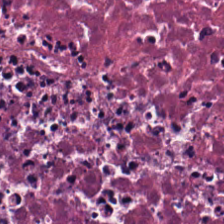Hematoxylin and eosin · WSI patch.
This patch shows debris.
